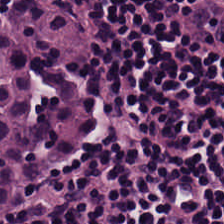The tissue here is lymphocytic infiltrate.
